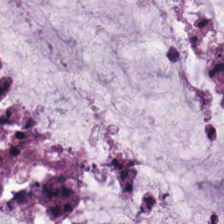Q: What tissue type is shown here?
A: Mucus.
